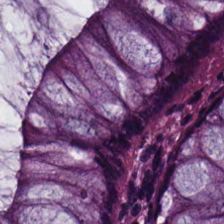Stain: H&E.
Preparation: formalin-fixed paraffin-embedded section.
Resolution: 0.5 microns per pixel.
Tissue class: benign colonic mucosa.
